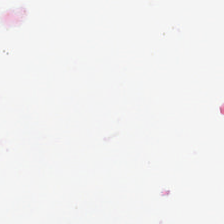FFPE tissue section; H&E-stained tissue section. The content is background (no tissue).
